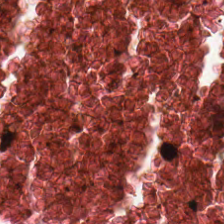H&E stain. WSI patch. Predominantly cellular debris.
